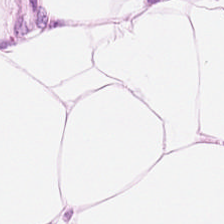Stain: H&E.
Tissue type: adipocytes.
